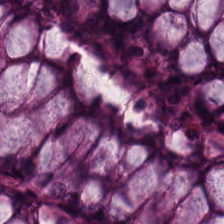224×224 pixel tile · formalin-fixed paraffin-embedded section · H&E stain. Tissue type — benign colonic mucosa.
